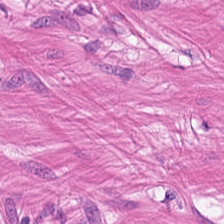Hematoxylin and eosin — Histology → smooth muscle.
